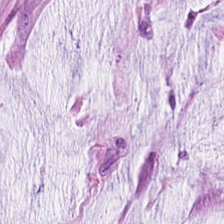Predominant tissue = mucus.
